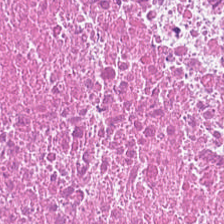The predominant tissue is cellular debris.
